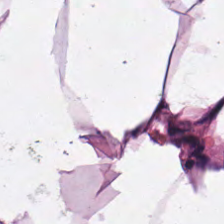Hematoxylin-and-eosin stained section. Formalin-fixed paraffin-embedded section. 224×224 px tile.
Showing fat tissue.
